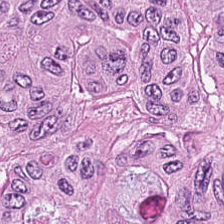Hematoxylin-and-eosin stained section. Histology — colorectal adenocarcinoma epithelium.
